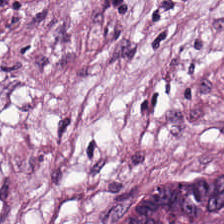H&E — The tissue here is tumor stroma.
